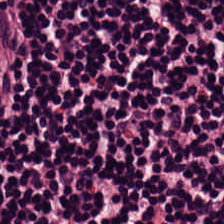Brightfield microscopy; formalin-fixed paraffin-embedded section; hematoxylin and eosin.
Q: What type of tissue is this?
A: This is lymphocyte aggregate.
